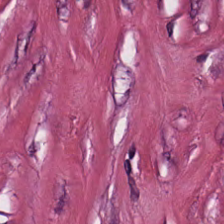Hematoxylin and eosin. Q: What is shown here?
A: Tumor stroma.
